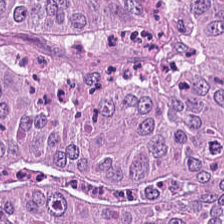Tissue type — malignant epithelium.
